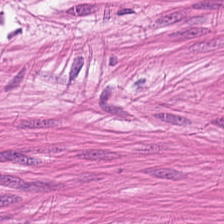Hematoxylin-and-eosin stained section — Histology → smooth muscle.
